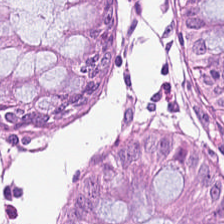H&E-stained tissue section — Normal colon mucosa.
